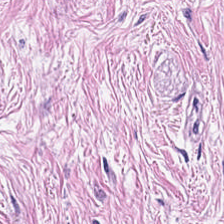H&E.
The predominant tissue is cancer-associated stroma.
